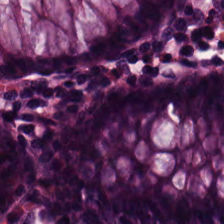H&E-stained tissue section — Tissue class — normal colon mucosa.
